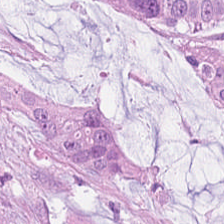Stain: hematoxylin and eosin.
Predominant tissue: adenocarcinoma.
